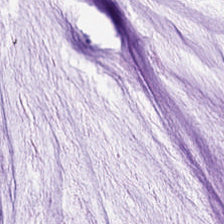Stain: hematoxylin-and-eosin stained section.
Tissue: mucin.
